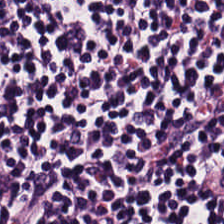Hematoxylin-and-eosin stained section · 0.5 microns per pixel · 224×224 px patch.
Lymphocytic infiltrate.
